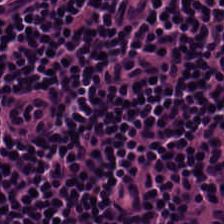0.5 µm per pixel. Hematoxylin and eosin. 224×224 pixel tile.
Q: What tissue type is shown here?
A: This is lymphocytic infiltrate.
